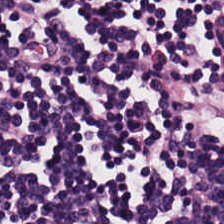H&E stain; whole-slide-image patch — Histology → lymphoid infiltrate.
